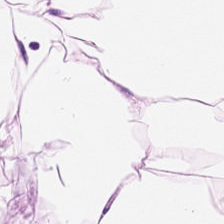Hematoxylin and eosin.
This patch shows fat tissue.
